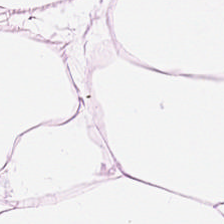Formalin-fixed paraffin-embedded section. WSI patch. Hematoxylin and eosin — {"tissue_type": "fat tissue"}
